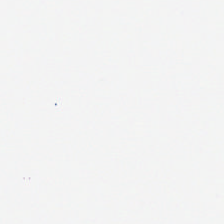Empty field — empty background.
